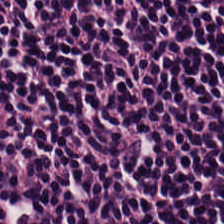H&E patch showing lymphocytic infiltrate.
